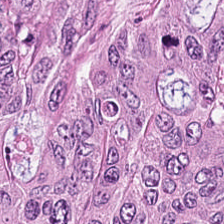Q: What tissue type is shown here?
A: Adenocarcinoma.
